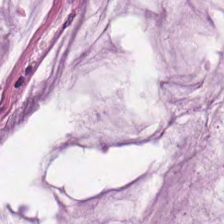H&E-stained tissue section; formalin-fixed paraffin-embedded section. Tissue class = mucus.
